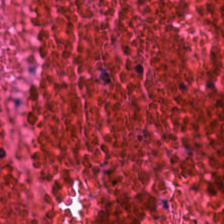H&E stain — Tissue — cellular debris.
